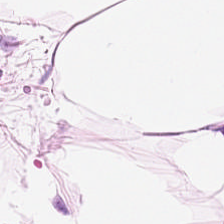Whole-slide-image patch. 224×224 px patch. Hematoxylin-and-eosin stained section.
Q: What type of tissue is this?
A: The field shows adipose.
